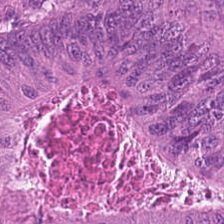This field is malignant epithelium.
